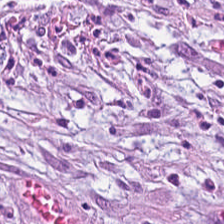H&E — Tissue class = desmoplastic stroma.
